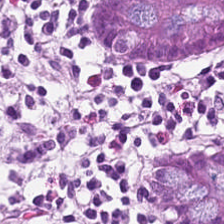H&E-stained tissue section · 224×224 pixel tile — Histology — normal colonic mucosa.
